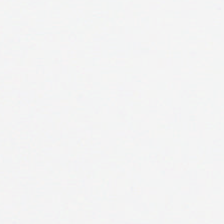The field content is no tissue.
